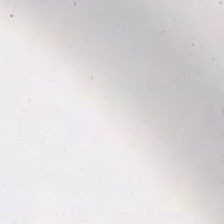Hematoxylin and eosin; 224×224 px patch. Background (no tissue).
